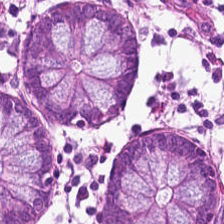Hematoxylin and eosin.
Tissue: normal colon mucosa.
